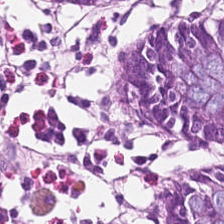H&E stain.
Predominant tissue = normal colon mucosa.
